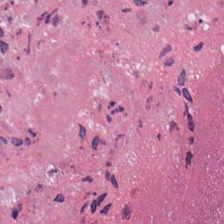Stain: hematoxylin and eosin.
Predominant tissue: debris.
